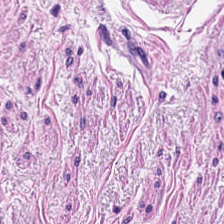Classification = muscularis.
